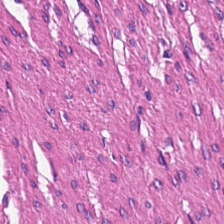H&E stain — {"tissue_type": "muscularis"}
